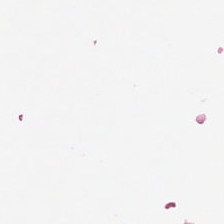H&E stain.
Empty field — background.
